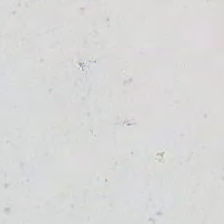Brightfield microscopy. H&E stain. 20× equivalent magnification.
This field is background (no tissue).
